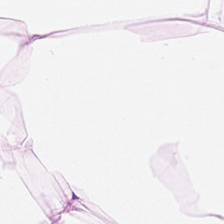Hematoxylin-and-eosin stained section — Predominantly fat tissue.
